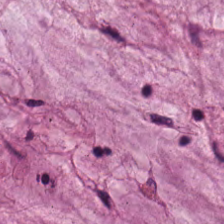Impression — mucin.
